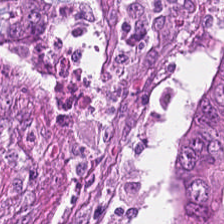Stain: H&E.
Tissue: colorectal adenocarcinoma.
